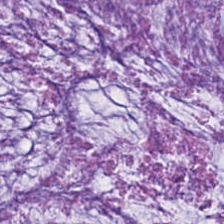H&E — This patch shows extracellular mucin.
